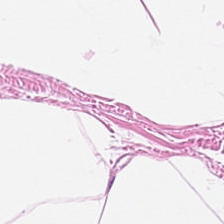Hematoxylin and eosin. {"tissue_type": "fat tissue"}
